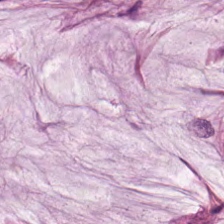Tissue type: extracellular mucin.
